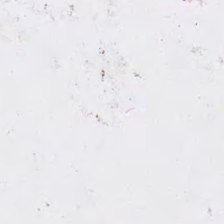H&E stain.
Impression → background.
